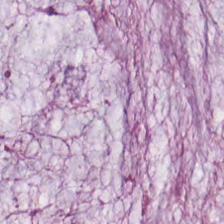Hematoxylin and eosin. Brightfield. 0.5 µm/px. This field is mucin.
